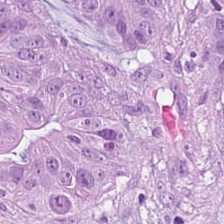H&E-stained tissue section. This field is colorectal adenocarcinoma epithelium.
